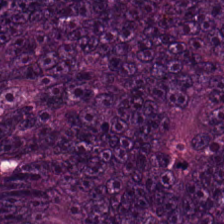H&E stain; brightfield; 0.5 µm/px. Impression → colorectal adenocarcinoma.
